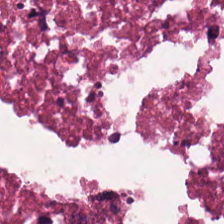Hematoxylin-and-eosin stained section. {"tissue_type": "necrotic debris"}
